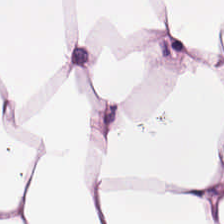H&E · brightfield.
Q: What is shown in this field?
A: This is fat tissue.
